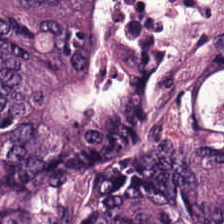WSI patch · 224×224 px patch · hematoxylin-and-eosin stained section — Finding → tumor epithelium.
